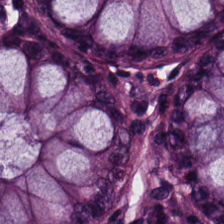The tissue type is normal colonic mucosa.
